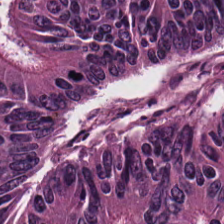Hematoxylin-and-eosin stained section.
Showing colorectal adenocarcinoma.
